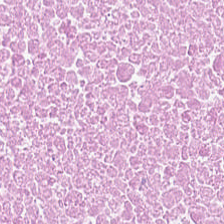Classification — necrotic debris.
